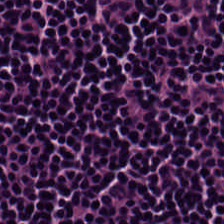H&E-stained tissue section; formalin-fixed paraffin-embedded section. The predominant tissue is lymphocyte aggregate.
